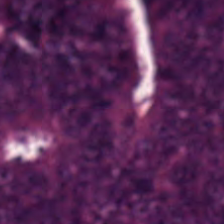Hematoxylin-and-eosin section: malignant epithelium.
